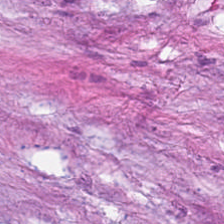H&E-stained tissue section. Classification: desmoplastic stroma.
